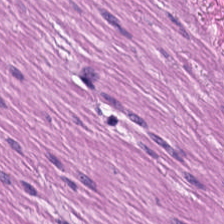Stain: hematoxylin and eosin.
Predominant tissue: smooth-muscle tissue.
